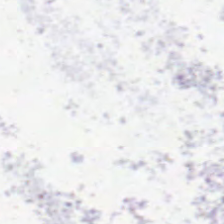Content — background.
